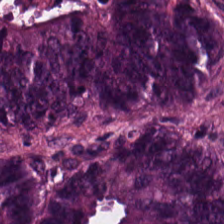0.5 microns per pixel · H&E stain.
Impression → colorectal adenocarcinoma.
